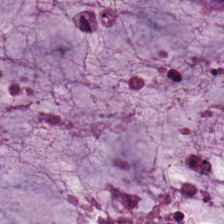Hematoxylin and eosin — Mucus.
